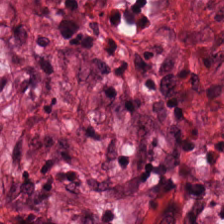Stain: H&E-stained tissue section.
Tissue: cancer-associated stroma.
